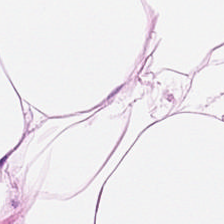Hematoxylin-and-eosin stained section — The predominant tissue is adipocytes.
